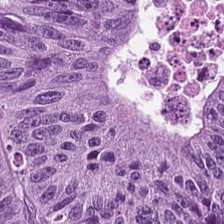Hematoxylin and eosin. This field is colorectal adenocarcinoma.
